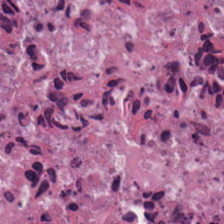H&E-stained tissue section. The tissue here is necrotic debris.
